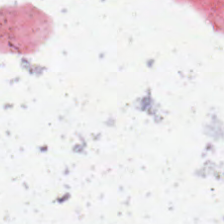H&E-stained tissue section. 0.5 µm per pixel — Field content — background (no tissue).
